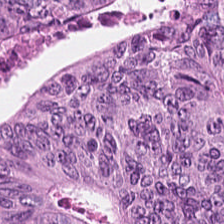Brightfield microscopy; hematoxylin and eosin — Q: What is the predominant tissue type?
A: It is colorectal adenocarcinoma.
